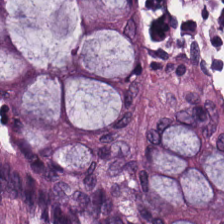Stain: hematoxylin and eosin.
Predominant tissue: normal colonic mucosa.
